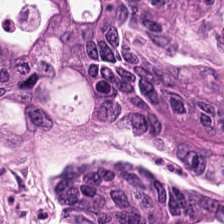FFPE tissue section; hematoxylin-and-eosin stained section.
This field is tumor epithelium.
